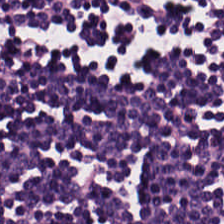The predominant tissue is lymphoid infiltrate.
